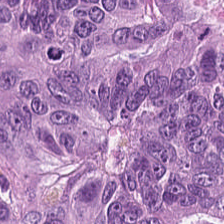Hematoxylin-and-eosin stained section; 224×224 px patch. The tissue class is colorectal adenocarcinoma epithelium.
